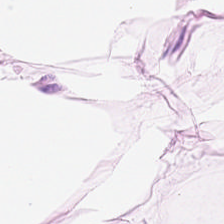Hematoxylin-and-eosin stained section — This field is adipose tissue.
